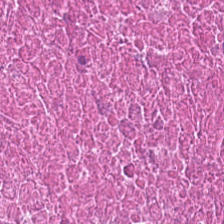Cellular debris.
